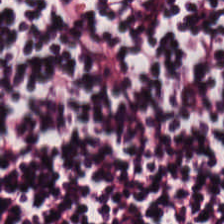Formalin-fixed paraffin-embedded section · H&E. Finding — lymphocytic infiltrate.
